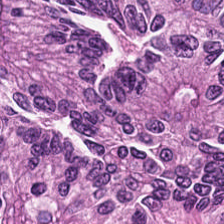Brightfield. H&E.
Classification — colorectal adenocarcinoma.
